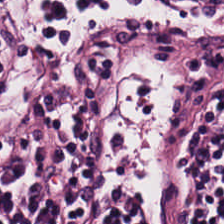0.5 microns per pixel · H&E — Predominantly lymphocytic infiltrate.
